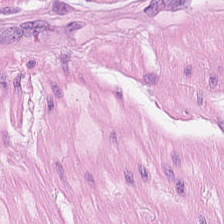FFPE · hematoxylin and eosin · brightfield microscopy.
Tissue: smooth muscle.
